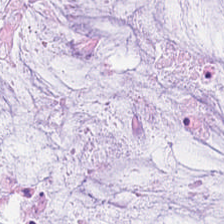20× equivalent magnification · H&E.
Q: What is the predominant tissue type?
A: This is extracellular mucin.
